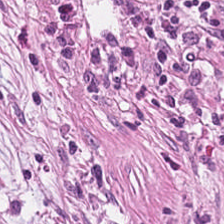0.5 µm/px · H&E — This patch shows tumor stroma.
